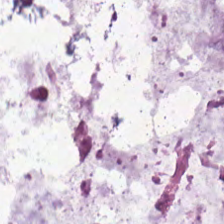H&E stain · FFPE tissue section. Classification — extracellular mucin.
